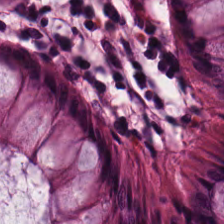Impression → normal colon mucosa.
